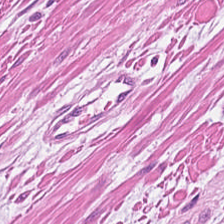Stain: hematoxylin-and-eosin stained section.
Resolution: 20× equivalent magnification.
Classification: smooth-muscle tissue.
